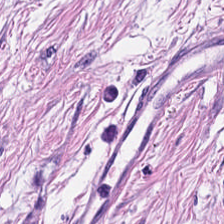Hematoxylin-and-eosin stained section.
Q: What is the predominant tissue type?
A: This is smooth-muscle tissue.
